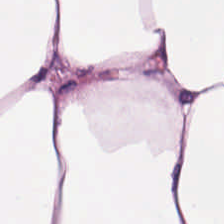Q: What is the predominant tissue type?
A: Adipose.
